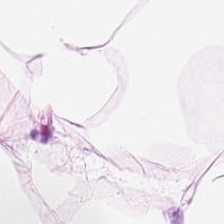Whole-slide-image patch. 0.5 µm/px. H&E stain. Q: Classify this patch.
A: This is fat tissue.
